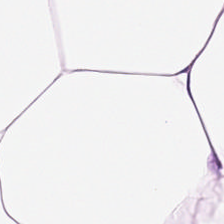Hematoxylin-and-eosin stained section.
Predominantly adipocytes.
